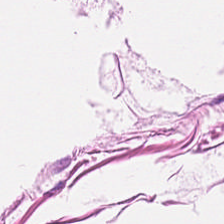Hematoxylin-and-eosin stained section; WSI patch — The tissue here is smooth muscle.
